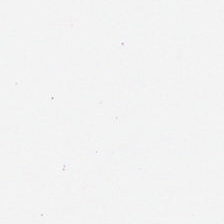Hematoxylin and eosin · 0.5 microns per pixel — This patch shows background (no tissue).
